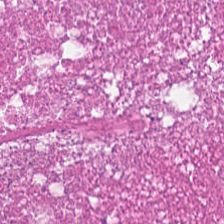Stain: hematoxylin-and-eosin stained section.
Resolution: 20× equivalent magnification.
Preparation: formalin-fixed paraffin-embedded section.
Tissue: necrotic debris.
